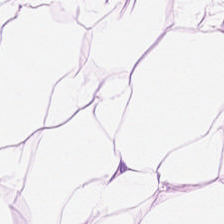20× equivalent magnification. H&E stain — Q: What tissue is shown?
A: Fat tissue.
